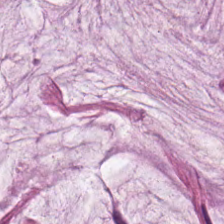Hematoxylin-and-eosin stained section.
The predominant tissue is mucus.
